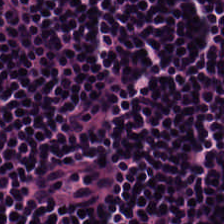H&E-stained tissue section. Brightfield. 0.5 microns per pixel — The tissue class is lymphocyte aggregate.
